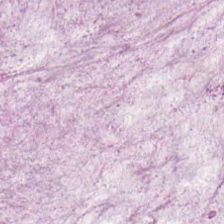Stain: H&E-stained tissue section.
Acquisition: WSI patch.
Tile size: 224×224 px tile.
Tissue class: mucus.
